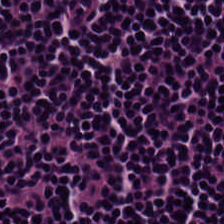The predominant tissue is lymphoid infiltrate.
